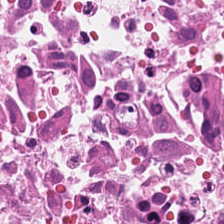FFPE · hematoxylin-and-eosin stained section. Tissue class — cellular debris.
